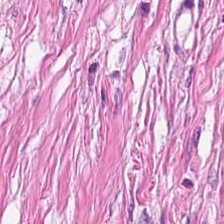H&E-stained tissue section. 224×224 px patch.
Tissue: tumor stroma.
